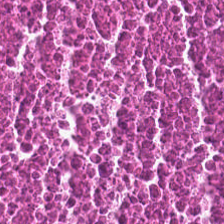H&E.
Tissue type: debris.
